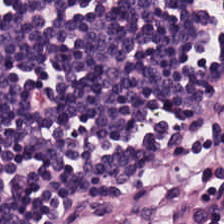H&E.
Showing lymphoid infiltrate.
